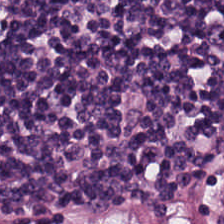0.5 µm per pixel. Hematoxylin-and-eosin stained section. Whole-slide-image patch — This patch shows lymphocytic infiltrate.
